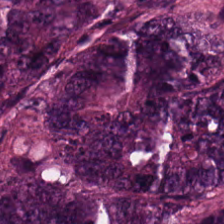Impression — malignant epithelium.
